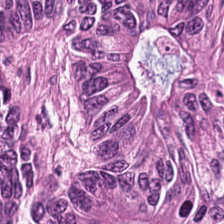Hematoxylin-and-eosin stained section. Whole-slide-image patch — Predominantly tumor epithelium.
